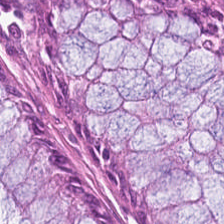H&E stain — Q: What type of tissue is this?
A: The field shows normal colonic mucosa.
